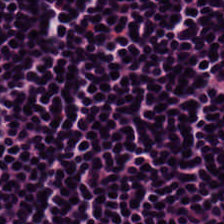Hematoxylin and eosin; 224×224 px tile.
The tissue here is lymphocyte aggregate.
